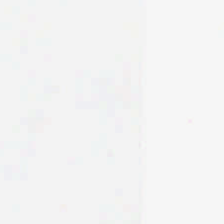H&E stain. Field content = no tissue.
